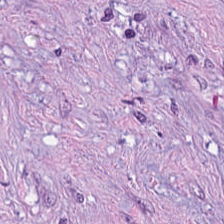Hematoxylin and eosin; brightfield microscopy.
{"tissue_type": "cancer-associated stroma"}
